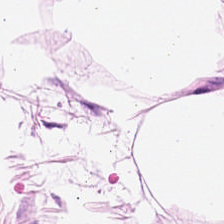Hematoxylin and eosin — The predominant tissue is adipocytes.
